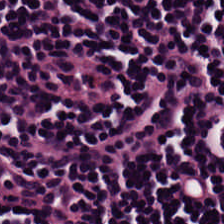Formalin-fixed paraffin-embedded section · WSI patch · hematoxylin and eosin. Predominant tissue = lymphoid infiltrate.
